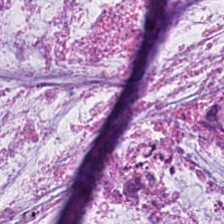Stain: H&E-stained tissue section.
Resolution: 0.5 microns per pixel.
Tissue class: extracellular mucin.
